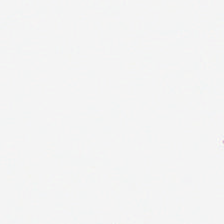H&E-stained tissue section. This patch shows empty background.
